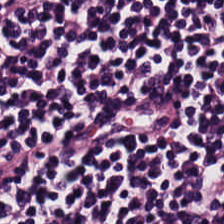Stain: H&E stain.
Tissue: lymphocytes.
